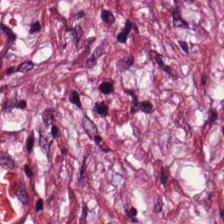Stain: H&E.
Classification: desmoplastic stroma.
